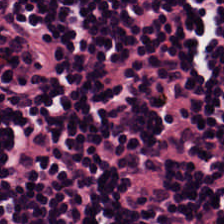Stain: H&E-stained tissue section.
Tile size: 224×224 px patch.
Tissue class: lymphocyte aggregate.
